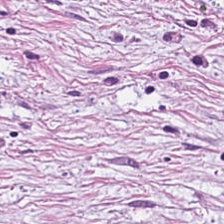Hematoxylin-and-eosin stained section.
Q: What type of tissue is this?
A: This is tumor-associated stroma.
